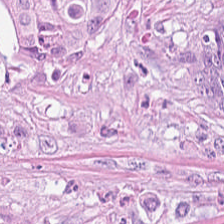Tissue type = tumor epithelium.
